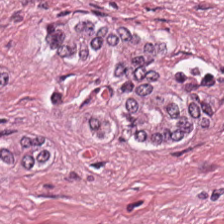H&E; whole-slide-image patch.
This patch shows tumor stroma.
